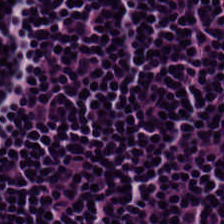Hematoxylin and eosin — The tissue here is lymphocytic infiltrate.
